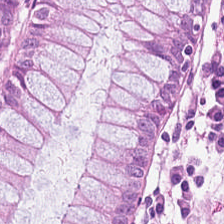Tissue type: non-neoplastic colon mucosa.
